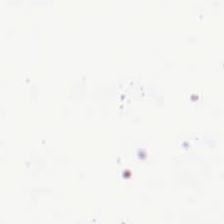H&E stain.
This field is background (no tissue).
